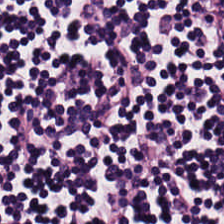Whole-slide-image patch. H&E-stained tissue section. Tissue type = lymphocytic infiltrate.
